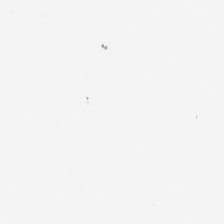H&E · 20× equivalent magnification — No tissue.
